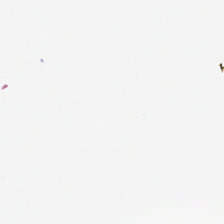H&E stain — Empty field — no tissue.
